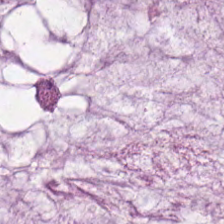Hematoxylin and eosin. 0.5 µm/px — This field is mucin.
